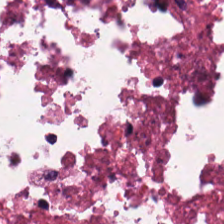Hematoxylin-and-eosin stained section. 224×224 px tile.
Necrotic debris.
